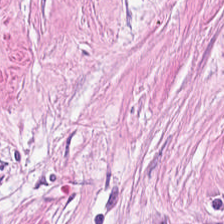H&E-stained tissue section — {"tissue_type": "tumor stroma"}
